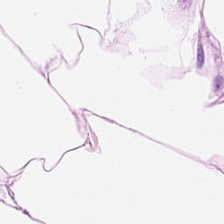H&E-stained tissue section — Predominantly adipose.
